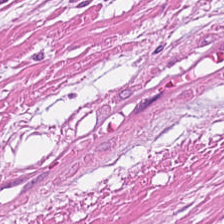Hematoxylin-and-eosin stained section.
Classification: smooth muscle.
